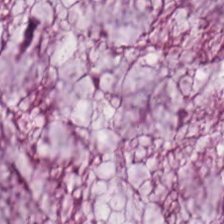Hematoxylin and eosin · formalin-fixed paraffin-embedded section.
This patch shows extracellular mucin.
